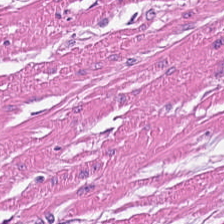H&E stain — {"tissue_type": "smooth-muscle tissue"}
